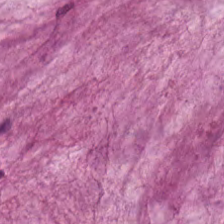H&E stain.
Tissue type: extracellular mucin.
